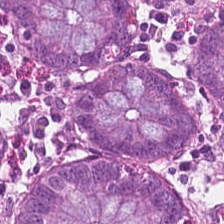224×224 pixel tile · H&E-stained tissue section · brightfield microscopy. The classification is non-neoplastic colon mucosa.
